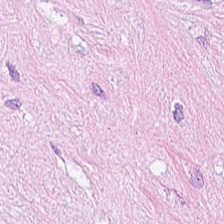The tissue here is desmoplastic stroma.
